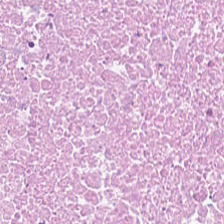Hematoxylin and eosin — Finding → cellular debris.
